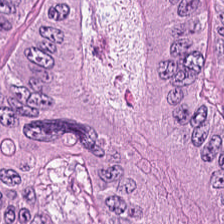224×224 pixel tile · brightfield · H&E.
The predominant tissue is malignant epithelium.
